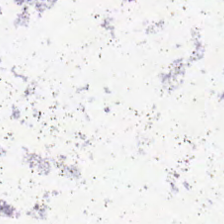H&E. Empty field — empty background.
